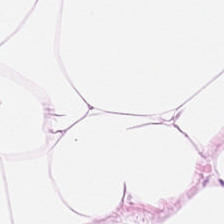H&E-stained tissue section · FFPE · 0.5 µm per pixel — Histology → fat tissue.
